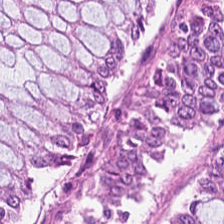Stain: H&E stain.
Acquisition: brightfield microscopy.
Predominant tissue: normal colonic mucosa.
